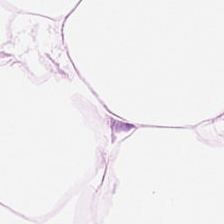H&E patch showing adipose.
